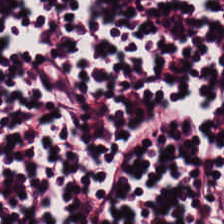Stain: H&E-stained tissue section.
Preparation: formalin-fixed paraffin-embedded section.
Tissue type: lymphocytes.
